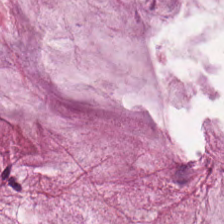H&E; 224×224 px tile — Q: What is shown here?
A: It is extracellular mucin.
